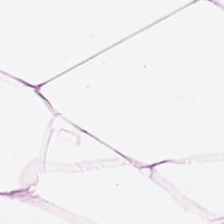Hematoxylin and eosin · 20× equivalent magnification — Predominantly adipocytes.
